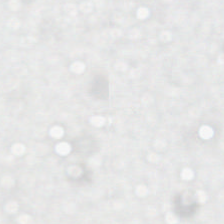Stain: hematoxylin-and-eosin stained section.
Preparation: formalin-fixed paraffin-embedded section.
Field content: empty background.
